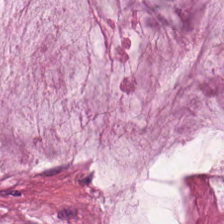H&E-stained tissue section — This field is mucus.
